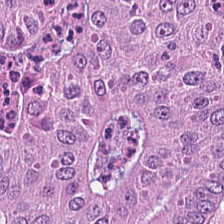H&E-stained tissue section · formalin-fixed paraffin-embedded section — Tissue class = malignant epithelium.
